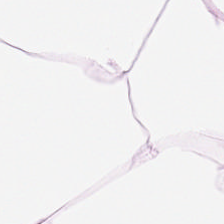H&E stain · 224×224 px tile — Q: Classify this patch.
A: It is adipocytes.
